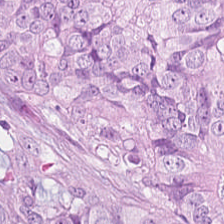H&E-stained tissue section. Q: What tissue type is shown here?
A: It is colorectal adenocarcinoma.
